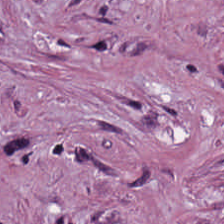H&E stain — Tissue class — tumor stroma.
